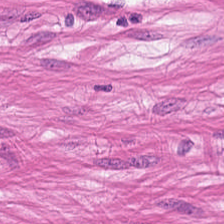Classification: smooth-muscle tissue.
